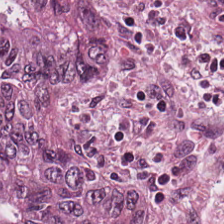Stain: H&E.
Classification: adenocarcinoma.
